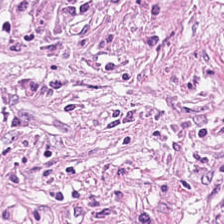0.5 µm/px; H&E stain — Q: What is shown here?
A: It is cancer-associated stroma.
